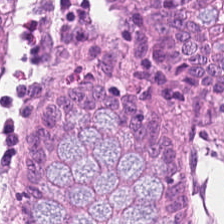224×224 pixel tile. 20× equivalent magnification. Hematoxylin and eosin — The predominant tissue is normal colonic mucosa.
